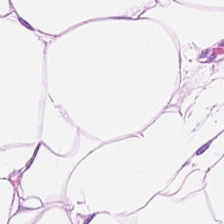Hematoxylin and eosin. This patch shows adipocytes.
